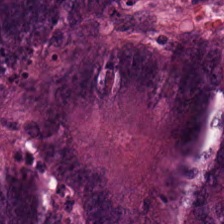20× equivalent magnification · hematoxylin and eosin · 224×224 px patch — The tissue here is malignant epithelium.
